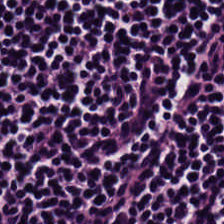Hematoxylin and eosin.
Q: What type of tissue is this?
A: It is lymphoid infiltrate.
